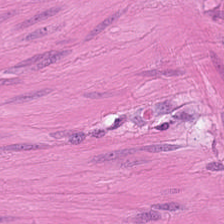H&E-stained tissue section.
Histology → muscularis.
